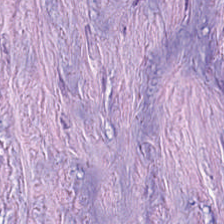H&E stain. 224×224 px tile. Showing desmoplastic stroma.
